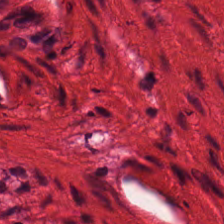Hematoxylin and eosin.
Impression — smooth-muscle tissue.
